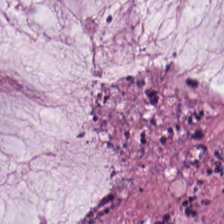Brightfield microscopy · H&E stain.
The tissue here is mucus.
